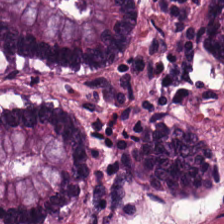H&E-stained tissue section showing non-neoplastic colon mucosa.
